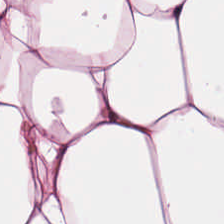Hematoxylin-and-eosin stained section — {"tissue_type": "fat tissue"}
